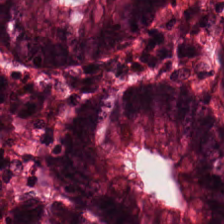H&E. 224×224 pixel tile.
Q: Classify this patch.
A: The field shows normal colon mucosa.
